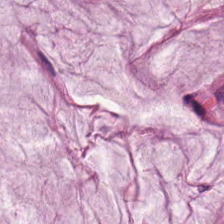Hematoxylin and eosin · formalin-fixed paraffin-embedded section. Extracellular mucin.
